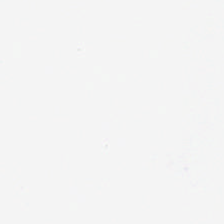H&E stain. Field content = background (no tissue).
